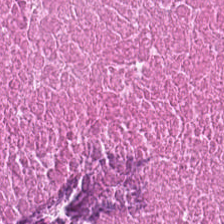H&E-stained tissue section showing necrotic debris.
